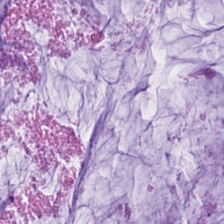FFPE tissue section · 0.5 microns per pixel · H&E. Classification — mucin.
